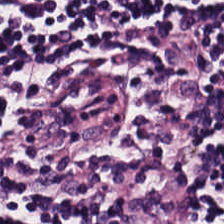H&E-stained tissue section · 0.5 µm/px.
{"tissue_type": "lymphocyte aggregate"}
